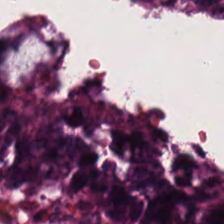H&E. The tissue here is colorectal adenocarcinoma.
